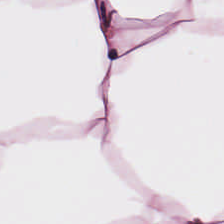Hematoxylin-and-eosin stained section. Q: What type of tissue is this?
A: Adipose tissue.
